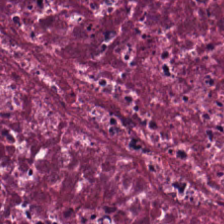The predominant tissue is debris.
